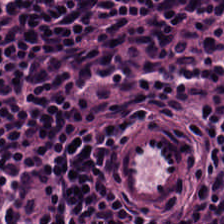Stain: H&E-stained tissue section.
Tissue class: lymphocytes.
